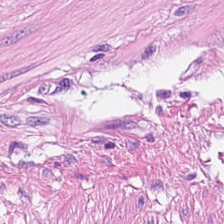H&E.
This patch shows smooth muscle.
